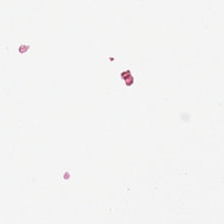This field is background (no tissue).
